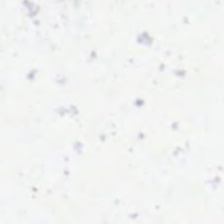Hematoxylin-and-eosin stained section.
Finding — background (no tissue).
